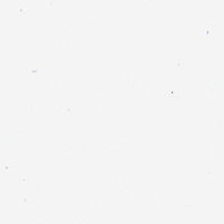Hematoxylin and eosin. Content — empty background.
